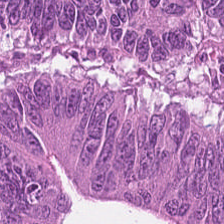H&E stain. Classification: malignant epithelium.
